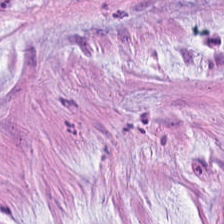Hematoxylin-and-eosin stained section — Q: What is the predominant tissue type?
A: It is mucus.
